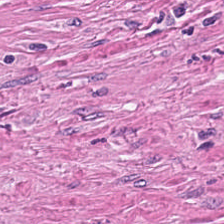Hematoxylin-and-eosin stained section. Showing cancer-associated stroma.
